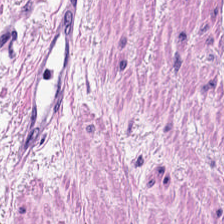Hematoxylin-and-eosin stained section. Predominantly muscularis.
